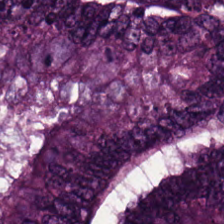H&E stain.
{"tissue_type": "adenocarcinoma"}
